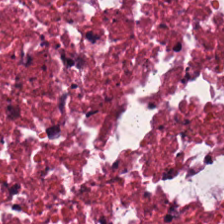0.5 µm per pixel · hematoxylin and eosin · FFPE.
Predominantly cellular debris.
